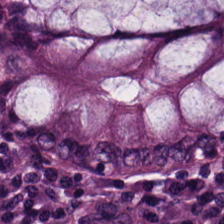Stain: H&E.
Resolution: 0.5 microns per pixel.
Acquisition: brightfield.
Predominant tissue: benign colonic mucosa.
